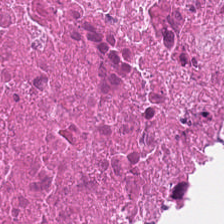Q: What is the predominant tissue type?
A: Necrotic debris.
